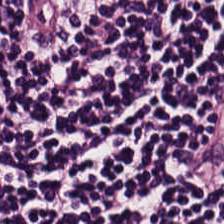224×224 px patch; H&E-stained tissue section.
Showing lymphocytic infiltrate.
